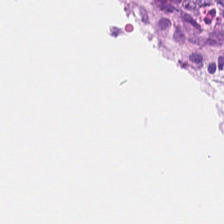Stain: H&E.
Tissue type: benign colonic mucosa.
